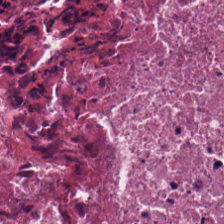224×224 pixel tile · hematoxylin-and-eosin stained section · formalin-fixed paraffin-embedded section — This field is cellular debris.
